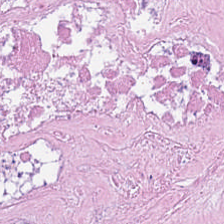Brightfield. Hematoxylin-and-eosin stained section.
Impression — necrotic debris.
